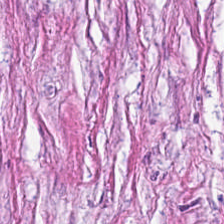Hematoxylin-and-eosin stained section — Desmoplastic stroma.
